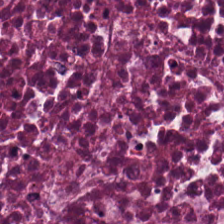Hematoxylin and eosin.
Cellular debris.
